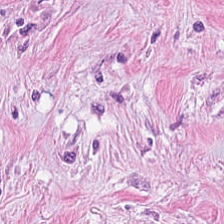{"tissue_type": "tumor-associated stroma"}
